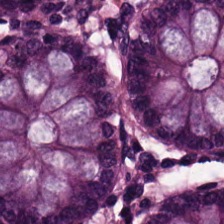Q: What tissue is shown?
A: The field shows normal colon mucosa.
